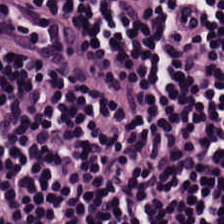H&E-stained tissue section · whole-slide-image patch · formalin-fixed paraffin-embedded section. Lymphocytes.
